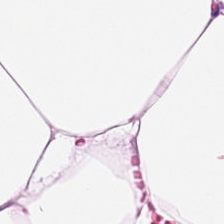FFPE tissue section; hematoxylin-and-eosin stained section — Showing fat tissue.
